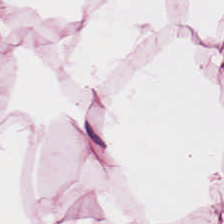H&E patch showing adipose tissue.
